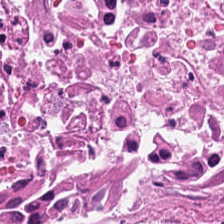The tissue here is cellular debris.
